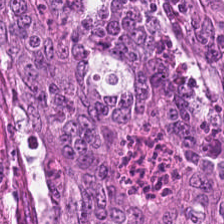H&E-stained tissue section — Classification — tumor epithelium.
